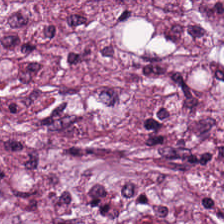224×224 px tile. Hematoxylin-and-eosin stained section. This patch shows cancer-associated stroma.
